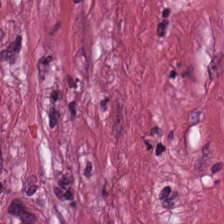Hematoxylin and eosin. {"tissue_type": "tumor stroma"}
